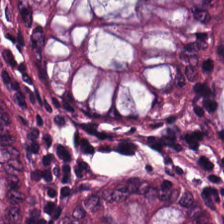H&E stain. Classification: benign colonic mucosa.
